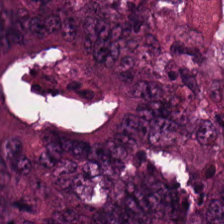Stain: H&E.
Tissue: colorectal adenocarcinoma epithelium.
